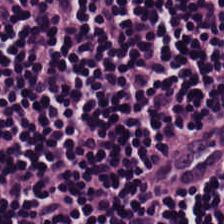0.5 µm per pixel. H&E-stained tissue section — Showing lymphocytes.
